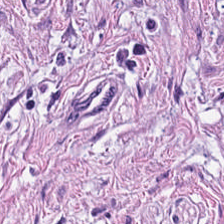Finding — smooth muscle.
